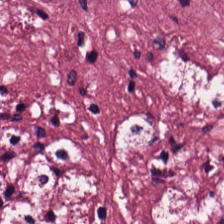Stain: hematoxylin-and-eosin stained section.
Classification: cancer-associated stroma.
